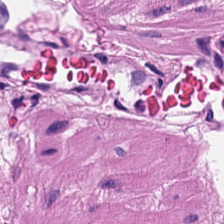Brightfield microscopy. Hematoxylin and eosin — The tissue here is muscularis.
